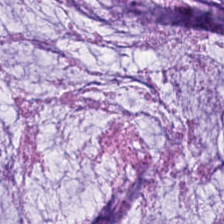Tissue: mucin.
